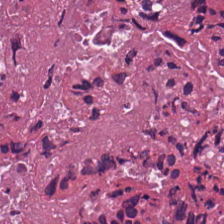Hematoxylin-and-eosin stained section; 224×224 px tile.
Q: What type of tissue is this?
A: The field shows cellular debris.
